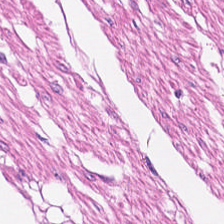Stain: H&E-stained tissue section.
Classification: smooth muscle.
